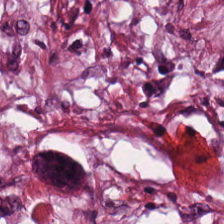H&E stain — Q: What is shown in this field?
A: This is desmoplastic stroma.
